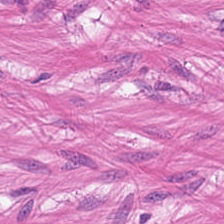H&E-stained tissue section.
Histology → smooth-muscle tissue.
